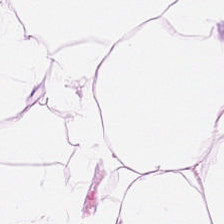The tissue here is adipocytes.
